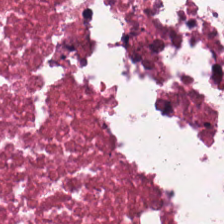Brightfield microscopy · 0.5 µm per pixel · hematoxylin and eosin. Cellular debris.
